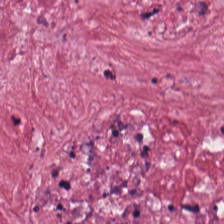{"tissue_type": "cancer-associated stroma"}
